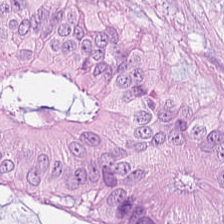Formalin-fixed paraffin-embedded section · 0.5 microns per pixel · H&E — Tumor epithelium.
